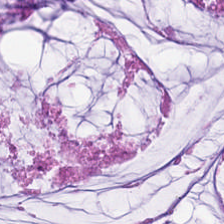{"tissue_type": "mucus"}
